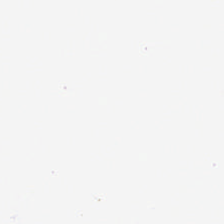H&E; WSI patch. Field content = background (no tissue).
